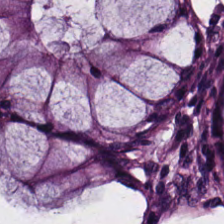Impression — normal colonic mucosa.
